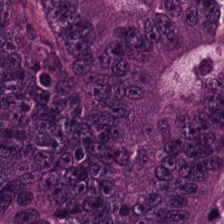Tissue class: malignant epithelium.
